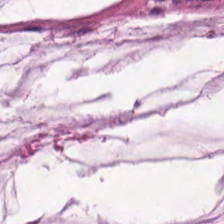Q: What is shown in this field?
A: It is mucin.
